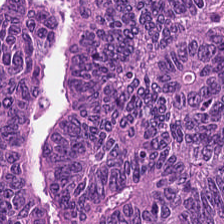0.5 microns per pixel; H&E-stained tissue section. Predominant tissue: tumor epithelium.
